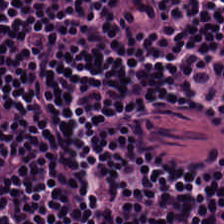FFPE · hematoxylin and eosin — Impression — lymphocytes.
